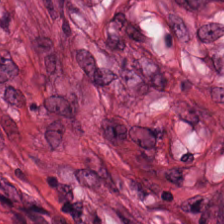Stain: H&E-stained tissue section.
Resolution: 0.5 microns per pixel.
Classification: cancer-associated stroma.
